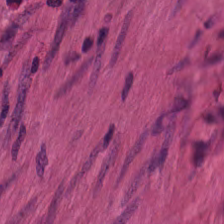Stain: H&E-stained tissue section.
Acquisition: brightfield.
Tissue: muscularis.
